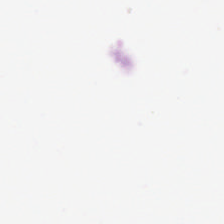0.5 µm per pixel. H&E.
Empty field — background (no tissue).
